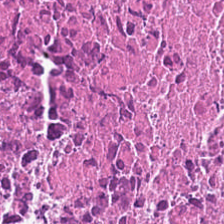Hematoxylin-and-eosin stained section. Formalin-fixed paraffin-embedded section. {"tissue_type": "debris"}
